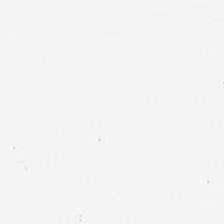H&E.
The content is background.
